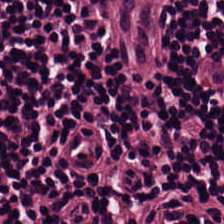H&E.
Q: What type of tissue is this?
A: It is lymphocytes.
